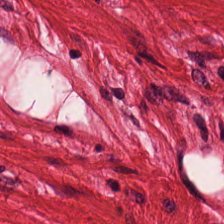Hematoxylin and eosin — The tissue here is smooth muscle.
